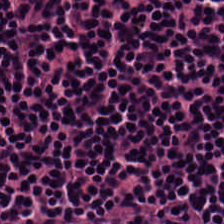224×224 pixel tile · brightfield microscopy · hematoxylin-and-eosin stained section — This patch shows lymphocytes.
